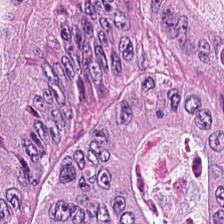Stain: hematoxylin and eosin.
Resolution: 0.5 µm per pixel.
Tissue type: malignant epithelium.
